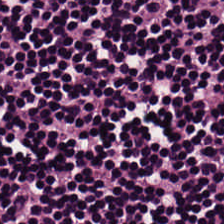Hematoxylin-and-eosin stained section.
Classification — lymphocyte aggregate.
